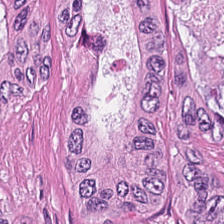Stain: hematoxylin and eosin.
Resolution: 0.5 µm per pixel.
Acquisition: brightfield.
Tissue: adenocarcinoma.
